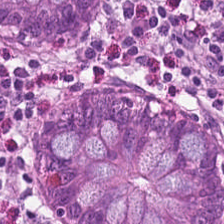Finding — normal colonic mucosa.
